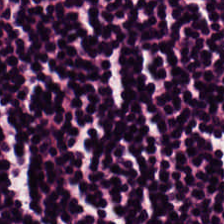0.5 microns per pixel. Hematoxylin and eosin. This patch shows lymphocytic infiltrate.
